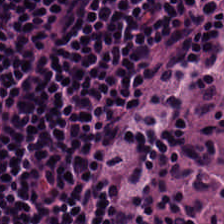H&E; formalin-fixed paraffin-embedded section. Lymphocytic infiltrate.
